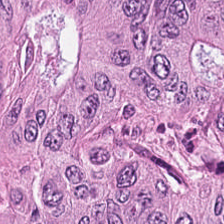Q: What does this patch show?
A: This is malignant epithelium.
